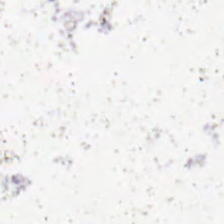0.5 µm/px; FFPE tissue section; H&E. Background (no tissue).
